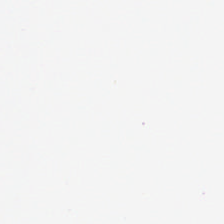H&E. No tissue present; background only.
